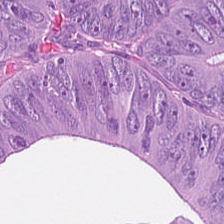Stain: H&E.
Tile size: 224×224 px tile.
Classification: tumor epithelium.
